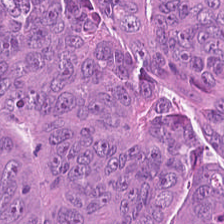Whole-slide-image patch. H&E-stained tissue section.
Tissue = tumor epithelium.
